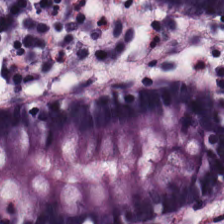224×224 px patch. Hematoxylin and eosin. WSI patch — The tissue here is non-neoplastic colon mucosa.
